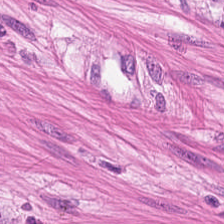Stain: H&E.
Classification: muscularis.
